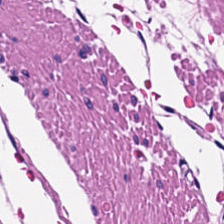Hematoxylin-and-eosin stained section. Tissue: smooth muscle.
